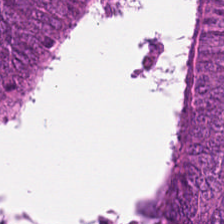WSI patch; hematoxylin and eosin. {"tissue_type": "malignant epithelium"}
